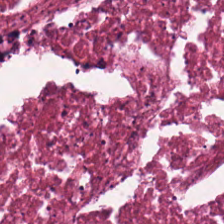Stain: H&E.
Tile size: 224×224 pixel tile.
Acquisition: WSI patch.
Tissue class: cellular debris.
